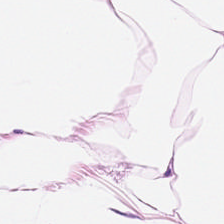Hematoxylin and eosin. Finding — adipose tissue.
